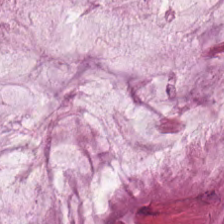Stain: H&E stain.
Classification: mucin.
